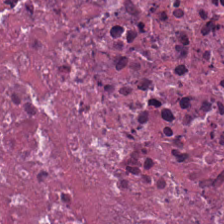Hematoxylin-and-eosin stained section.
Predominant tissue: debris.
